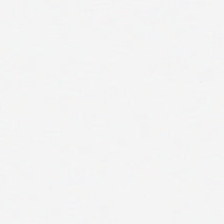Content = empty background.
